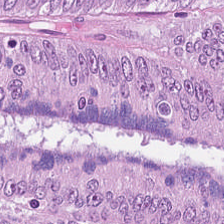H&E-stained tissue section.
Tissue class: tumor epithelium.
